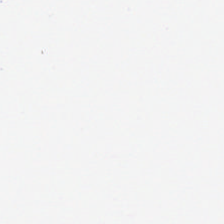Q: What is shown in this field?
A: The field shows background (no tissue).
